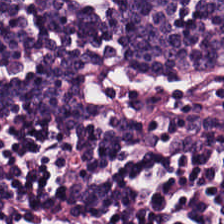Hematoxylin-and-eosin stained section — Q: What is shown here?
A: This is lymphocyte aggregate.
